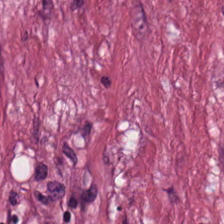Q: What is shown here?
A: The field shows tumor-associated stroma.
